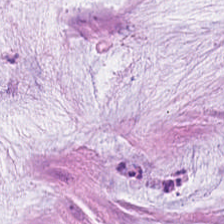Hematoxylin and eosin. Showing mucin.
